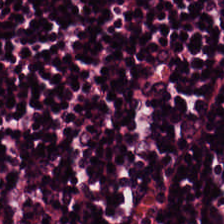Stain: H&E stain.
Tissue: lymphocyte aggregate.
